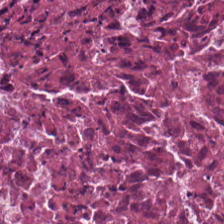Brightfield microscopy; hematoxylin and eosin. Tissue type = debris.
